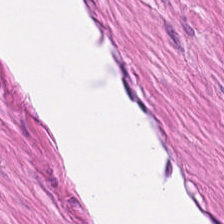H&E; FFPE. The tissue here is muscularis.
